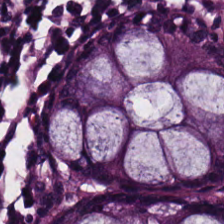H&E-stained tissue section.
The predominant tissue is normal colon mucosa.
